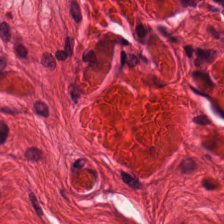H&E · FFPE · 224×224 px tile — This field is smooth-muscle tissue.
